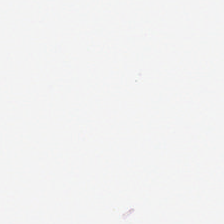0.5 µm/px · hematoxylin and eosin · 224×224 px patch.
Classification: empty background.
